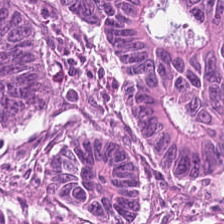Stain: H&E.
Tile size: 224×224 px tile.
Preparation: FFPE.
Tissue: adenocarcinoma.
